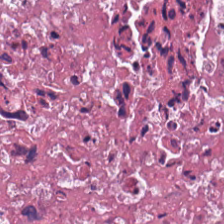H&E stain. Q: What does this patch show?
A: The field shows necrotic debris.
